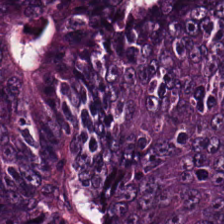Formalin-fixed paraffin-embedded section · H&E stain — Impression → malignant epithelium.
